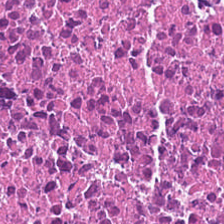Stain: hematoxylin and eosin.
Classification: necrotic debris.
